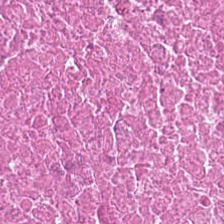H&E. 20× equivalent magnification. Showing necrotic debris.
